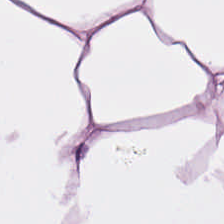H&E.
This field is adipose.
